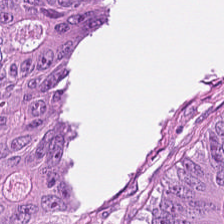H&E-stained tissue section; 0.5 microns per pixel; FFPE tissue section. Tissue = adenocarcinoma.
